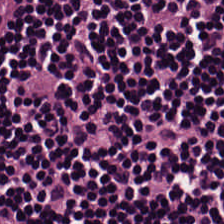Hematoxylin and eosin. Q: What tissue type is shown here?
A: This is lymphocytes.
